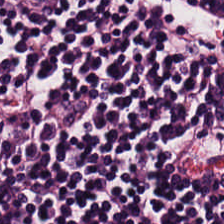H&E-stained tissue section; 20× equivalent magnification; 224×224 pixel tile.
Tissue: lymphocytes.
